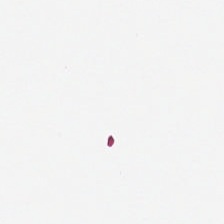H&E-stained tissue section.
Background — no tissue in this field.
